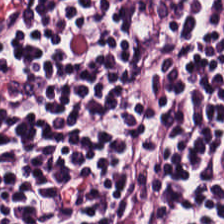Brightfield microscopy · hematoxylin and eosin · 224×224 px patch.
The predominant tissue is lymphocytes.
